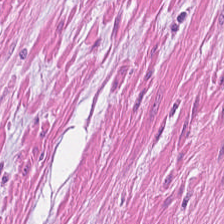Q: What tissue is shown?
A: It is muscularis.
